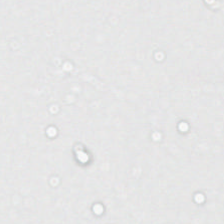224×224 pixel tile · hematoxylin and eosin · FFPE — No tissue present; background only.
